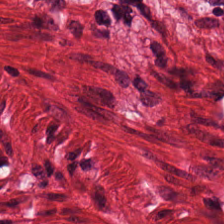Predominantly muscularis.
